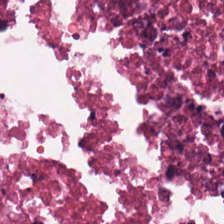Formalin-fixed paraffin-embedded section · brightfield microscopy · H&E-stained tissue section.
Impression → debris.
